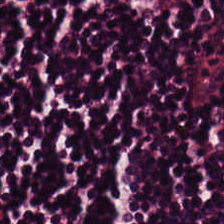Hematoxylin-and-eosin stained section; 0.5 µm per pixel.
Tissue — lymphocyte aggregate.
